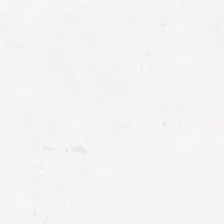Field content — no tissue.
